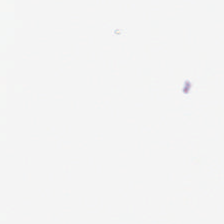Classification: empty background.
